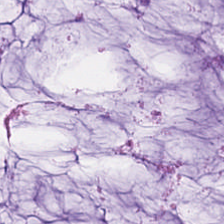Q: What tissue is shown?
A: The field shows extracellular mucin.
